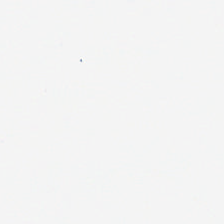FFPE · H&E — Q: What does this patch show?
A: Background (no tissue).
